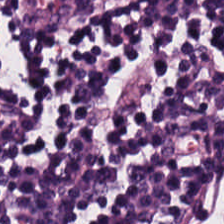H&E · 0.5 µm per pixel · FFPE. Tissue type — lymphocytes.
